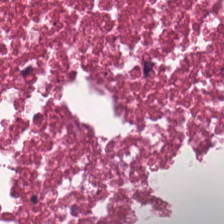Hematoxylin and eosin.
Q: What tissue is shown?
A: Cellular debris.
